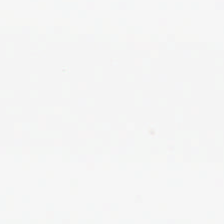H&E. Background (no tissue).
